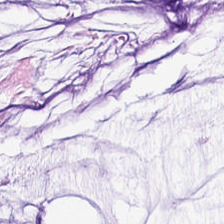Stain: H&E.
Tile size: 224×224 px patch.
Tissue type: mucin.
